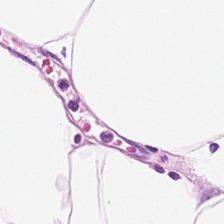FFPE tissue section; H&E — Q: What is the predominant tissue type?
A: This is adipocytes.
